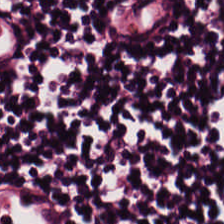H&E stain. 0.5 µm/px.
Tissue class: lymphocyte aggregate.
